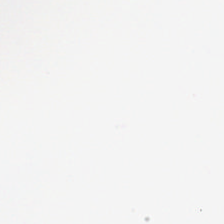H&E · FFPE tissue section · WSI patch — Field content — background (no tissue).
